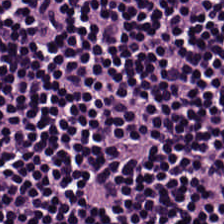This field is lymphocytes.
